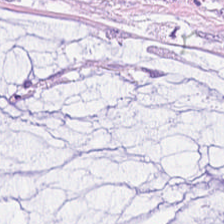H&E-stained tissue section; WSI patch; 224×224 px tile — The tissue type is mucin.
